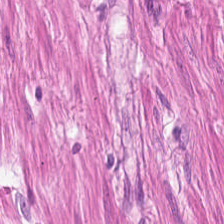Hematoxylin-and-eosin stained section.
Tissue type — smooth muscle.
